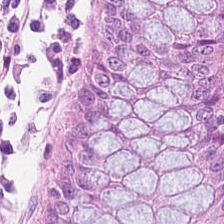H&E-stained tissue section. Tissue class = non-neoplastic colon mucosa.
